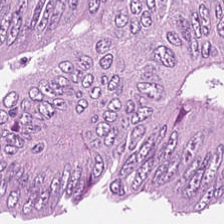Formalin-fixed paraffin-embedded section. H&E stain.
The predominant tissue is colorectal adenocarcinoma.
